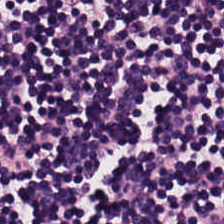0.5 µm per pixel; whole-slide-image patch; H&E-stained tissue section — Q: Identify the tissue.
A: This is lymphocytes.
